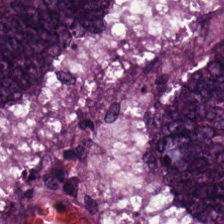H&E. Q: What is shown in this field?
A: Colorectal adenocarcinoma.
